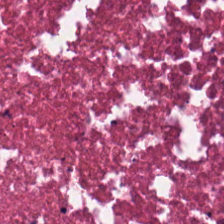H&E-stained tissue section — This field is necrotic debris.
